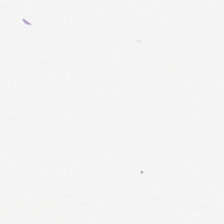This field is background (no tissue).
